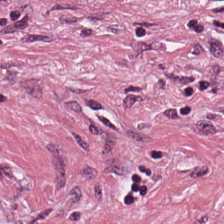Stain: hematoxylin-and-eosin stained section.
Classification: tumor-associated stroma.
